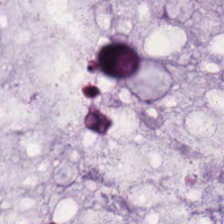H&E-stained tissue section. Q: What is shown in this field?
A: The field shows extracellular mucin.
